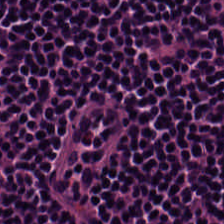H&E.
Tissue class — lymphocytic infiltrate.
